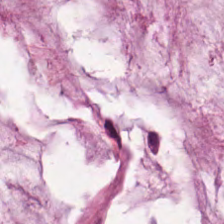Hematoxylin and eosin — Predominantly mucus.
